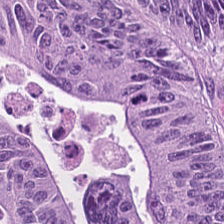FFPE tissue section. H&E-stained tissue section. 224×224 pixel tile.
Predominant tissue = malignant epithelium.
